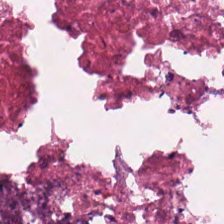Q: Classify this patch.
A: It is necrotic debris.
